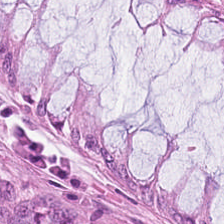FFPE tissue section · H&E stain. Q: Identify the tissue.
A: Benign colonic mucosa.
